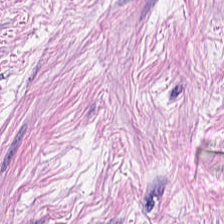Brightfield microscopy · H&E stain — The tissue class is cancer-associated stroma.
